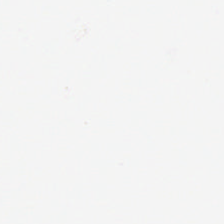Hematoxylin-and-eosin stained section. FFPE. 0.5 µm per pixel — No tissue present; background only.
